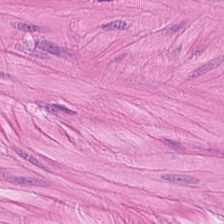Predominantly muscularis.
